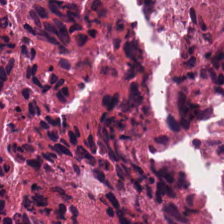H&E. Tissue class = necrotic debris.
